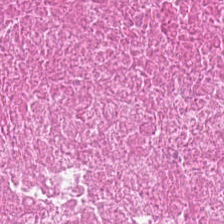H&E — Necrotic debris.
